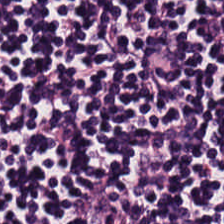H&E — Impression → lymphoid infiltrate.
